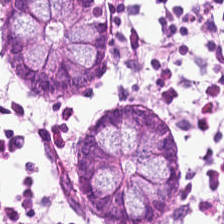H&E-stained tissue section. Q: Identify the tissue.
A: This is benign colonic mucosa.
